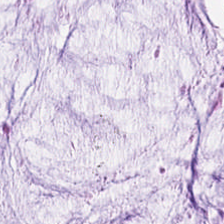Stain: hematoxylin and eosin.
Preparation: FFPE.
Resolution: 20× equivalent magnification.
Tissue type: extracellular mucin.
